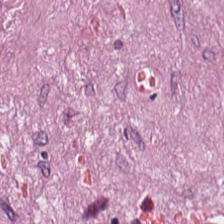H&E-stained tissue section · 224×224 px tile — The tissue here is cancer-associated stroma.
